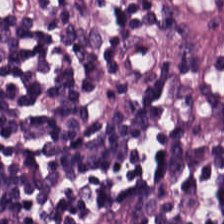H&E stain · 224×224 px patch. This field is lymphocytes.
